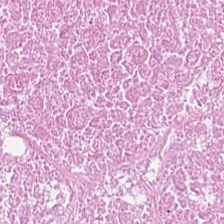Stain: hematoxylin-and-eosin stained section.
Tissue type: necrotic debris.
